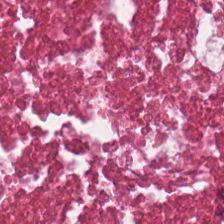Hematoxylin-and-eosin stained section · 224×224 px patch · FFPE — Finding → debris.
